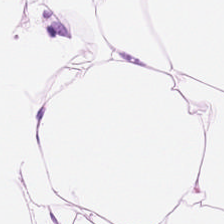Stain: hematoxylin-and-eosin stained section.
Classification: adipose.
